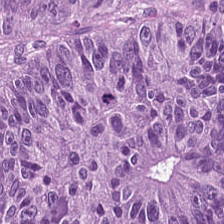Hematoxylin-and-eosin stained section.
Q: What tissue is shown?
A: It is colorectal adenocarcinoma epithelium.
